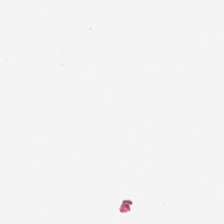Hematoxylin-and-eosin stained section. Finding → background.
